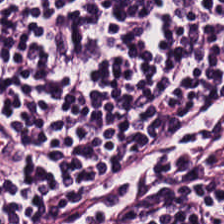H&E stain.
Q: What is the predominant tissue type?
A: The field shows lymphocytes.
